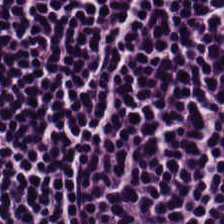H&E; 0.5 microns per pixel; FFPE tissue section — The predominant tissue is lymphoid infiltrate.
